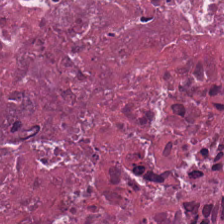H&E-stained tissue section. Histology — cellular debris.
